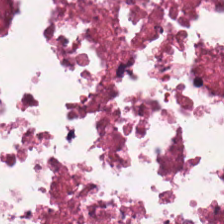Formalin-fixed paraffin-embedded section. Hematoxylin-and-eosin stained section.
Showing necrotic debris.
